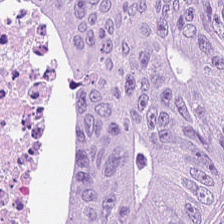H&E-stained tissue section · 0.5 µm/px · brightfield microscopy. Tissue: adenocarcinoma.
